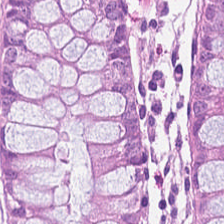Whole-slide-image patch. H&E stain. Q: What tissue is shown?
A: This is non-neoplastic colon mucosa.
